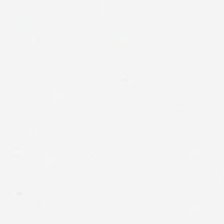Hematoxylin-and-eosin stained section.
Q: What does this patch show?
A: Background (no tissue).
